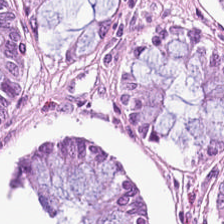H&E stain; 0.5 microns per pixel.
{"tissue_type": "non-neoplastic colon mucosa"}
